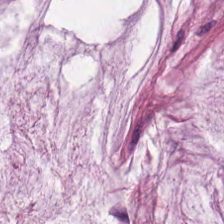Q: What does this patch show?
A: The field shows mucin.
